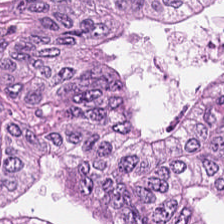Hematoxylin and eosin.
Classification: colorectal adenocarcinoma.
